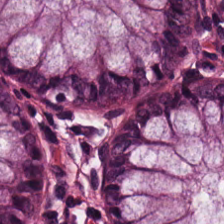Stain: H&E-stained tissue section.
Tissue type: normal colon mucosa.
